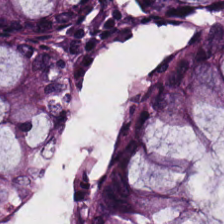224×224 px patch; 20× equivalent magnification; H&E stain.
This patch shows normal colon mucosa.
